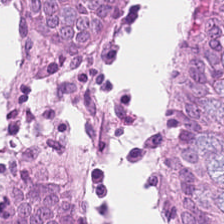Normal colon mucosa.
